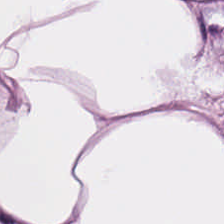Hematoxylin-and-eosin stained section. Q: Identify the tissue.
A: This is adipose tissue.
